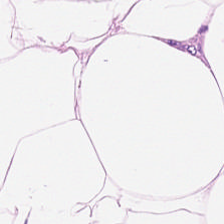Predominant tissue — adipose tissue.
